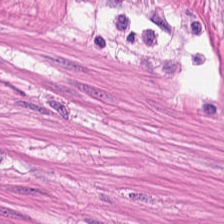Hematoxylin-and-eosin stained section. Smooth-muscle tissue.
